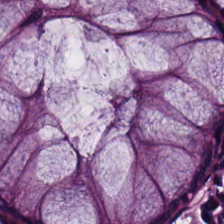H&E patch showing normal colon mucosa.
